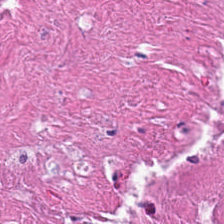H&E stain · FFPE.
This patch shows cellular debris.
